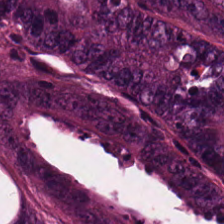Brightfield microscopy · H&E.
The predominant tissue is adenocarcinoma.
